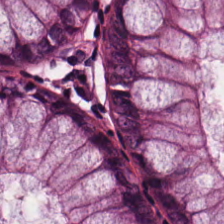This field is non-neoplastic colon mucosa.
